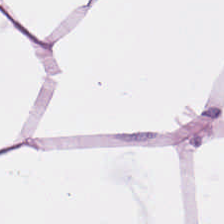H&E — adipose tissue.
